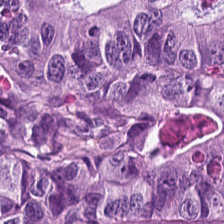H&E-stained tissue section — The tissue class is colorectal adenocarcinoma epithelium.
